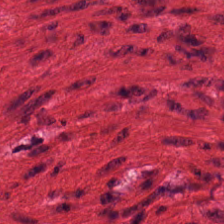H&E; brightfield; FFPE — This field is smooth-muscle tissue.
